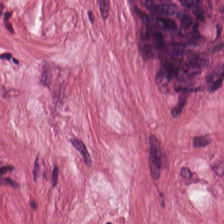Hematoxylin and eosin · 0.5 microns per pixel — The predominant tissue is desmoplastic stroma.
